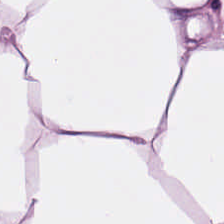H&E-stained tissue section; 0.5 µm per pixel; 224×224 px tile — The predominant tissue is adipocytes.
